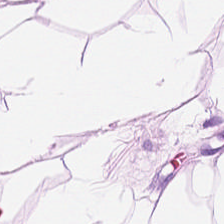0.5 µm/px · H&E. {"tissue_type": "adipocytes"}
